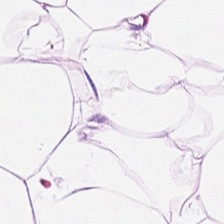Hematoxylin and eosin · formalin-fixed paraffin-embedded section.
Fat tissue.
